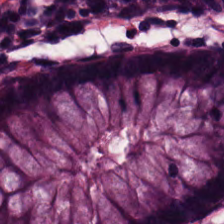Stain: H&E-stained tissue section.
Preparation: formalin-fixed paraffin-embedded section.
Classification: non-neoplastic colon mucosa.
